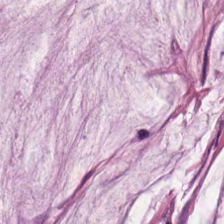Predominantly mucin.
